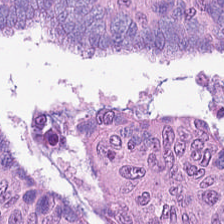H&E stain. Classification = colorectal adenocarcinoma.
